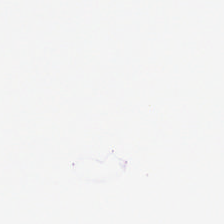Formalin-fixed paraffin-embedded section. H&E stain.
Classification: background.
